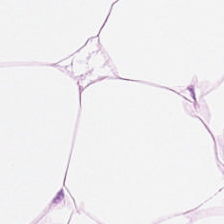Hematoxylin-and-eosin stained section. Formalin-fixed paraffin-embedded section. This patch shows fat tissue.
